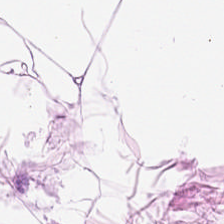Histology — adipose.
